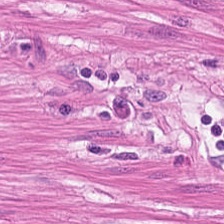Tissue class = muscularis.
